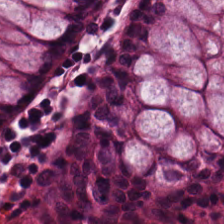Hematoxylin-and-eosin stained section. The tissue here is normal colonic mucosa.
